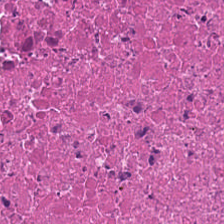Brightfield · hematoxylin-and-eosin stained section · 224×224 px tile.
Debris.
